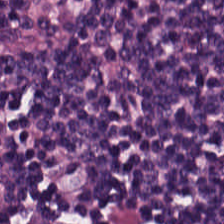Hematoxylin-and-eosin stained section · WSI patch — Predominant tissue: lymphocytic infiltrate.
